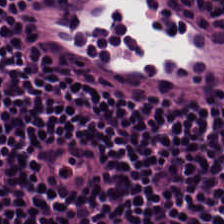H&E. Classification: lymphocytes.
